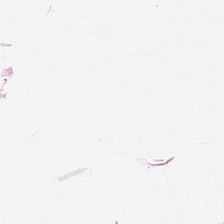Stain: hematoxylin and eosin.
Tissue: adipose tissue.
